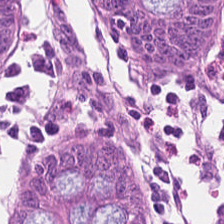H&E stain · brightfield.
This patch shows non-neoplastic colon mucosa.
